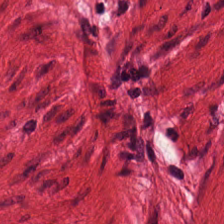Hematoxylin and eosin — Q: What tissue type is shown here?
A: Smooth muscle.
